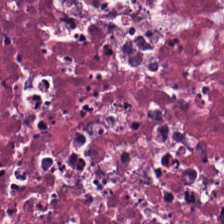H&E — The tissue here is necrotic debris.
